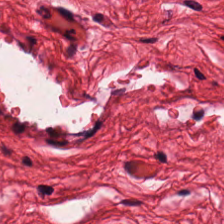Hematoxylin and eosin.
The predominant tissue is muscularis.
